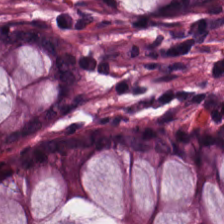H&E stain.
{"tissue_type": "normal colonic mucosa"}
